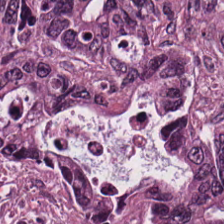Stain: H&E.
Classification: colorectal adenocarcinoma epithelium.
